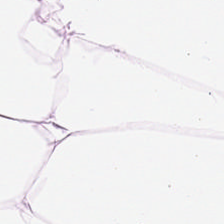H&E stain; 20× equivalent magnification — Impression → adipocytes.
